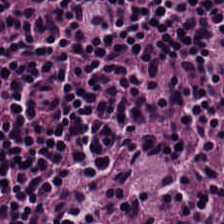224×224 px patch. H&E-stained tissue section — This field is lymphoid infiltrate.
